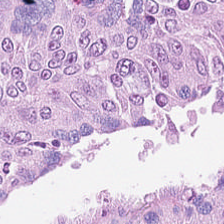H&E stain — Tissue class = malignant epithelium.
